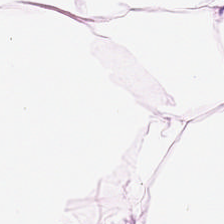Q: Identify the tissue.
A: The field shows fat tissue.
